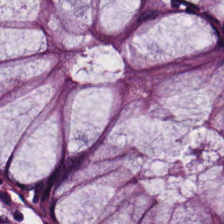FFPE; brightfield microscopy; H&E stain — Predominant tissue = normal colon mucosa.
